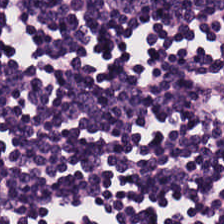Lymphocyte aggregate.
